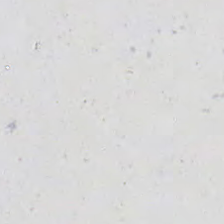H&E stain; brightfield microscopy.
This patch shows empty background.
